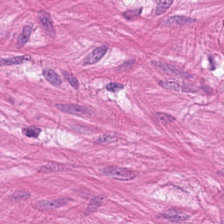Hematoxylin and eosin — Finding → smooth-muscle tissue.
